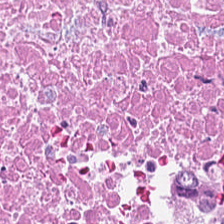Stain: hematoxylin and eosin.
Tissue class: debris.
